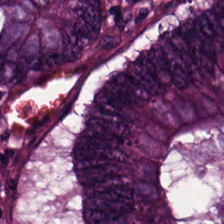Predominant tissue: colorectal adenocarcinoma.
